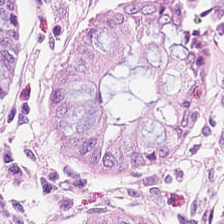Hematoxylin-and-eosin stained section.
Predominant tissue: normal colon mucosa.
